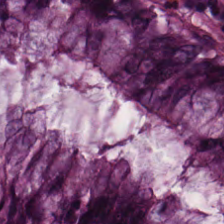Brightfield microscopy. Hematoxylin-and-eosin stained section. Predominantly normal colonic mucosa.
